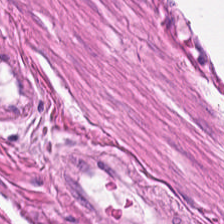Hematoxylin and eosin — Predominant tissue: smooth-muscle tissue.
